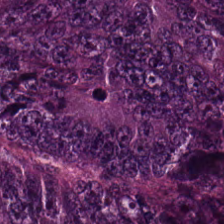H&E stain.
Finding — tumor epithelium.
